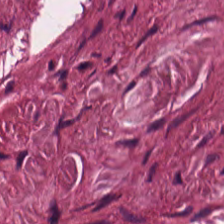{"tissue_type": "cancer-associated stroma"}
